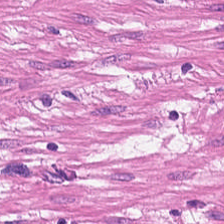Histology → smooth-muscle tissue.
